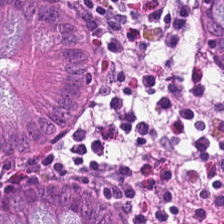Predominant tissue — benign colonic mucosa.
